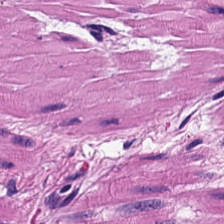WSI patch. Hematoxylin-and-eosin stained section — {"tissue_type": "smooth muscle"}
